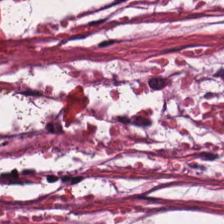Hematoxylin and eosin — This field is cancer-associated stroma.
